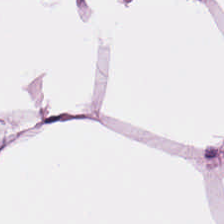Q: What does this patch show?
A: This is adipose.
